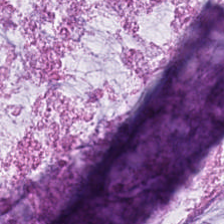Stain: H&E-stained tissue section.
Predominant tissue: extracellular mucin.
